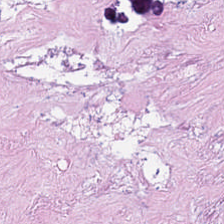H&E-stained tissue section — Predominantly cellular debris.
